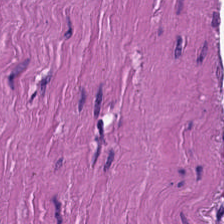Hematoxylin-and-eosin stained section · 0.5 µm/px · formalin-fixed paraffin-embedded section. Classification = muscularis.
